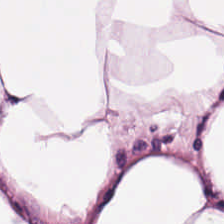H&E stain · 224×224 pixel tile.
This patch shows adipose.
